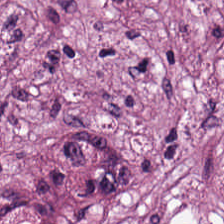Histology → cancer-associated stroma.
